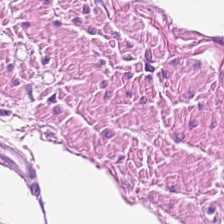Q: What is shown here?
A: The field shows smooth muscle.
